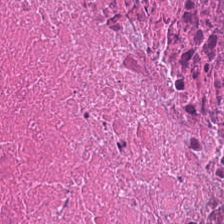Formalin-fixed paraffin-embedded section · hematoxylin and eosin — This patch shows cellular debris.
